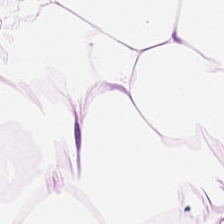Hematoxylin-and-eosin stained section. Brightfield. Q: What tissue is shown?
A: The field shows fat tissue.
